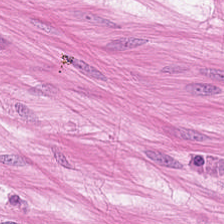Stain: H&E stain.
Tissue type: muscularis.
